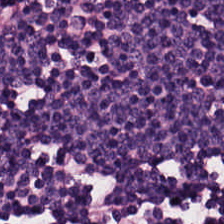Hematoxylin-and-eosin stained section.
Q: What is the predominant tissue type?
A: It is lymphocytes.
